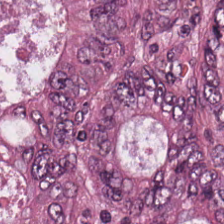Showing tumor epithelium.
